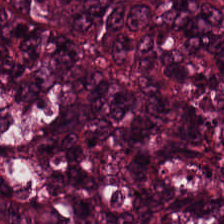Impression → tumor epithelium.
